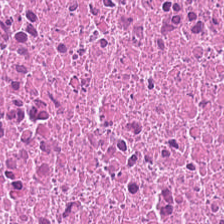H&E stain; FFPE. Classification: cellular debris.
